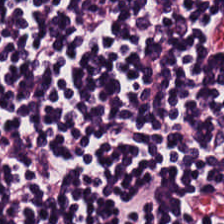20× equivalent magnification · H&E-stained tissue section.
The tissue is lymphocyte aggregate.
